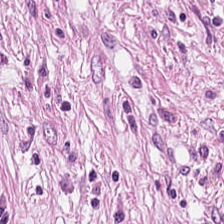0.5 microns per pixel; hematoxylin and eosin; 224×224 pixel tile — Tissue class = desmoplastic stroma.
